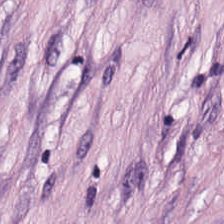H&E.
Tissue — tumor-associated stroma.
